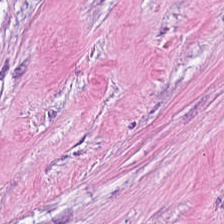Hematoxylin and eosin — Tissue type — tumor-associated stroma.
